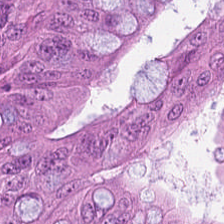H&E stain.
Tissue type: malignant epithelium.
